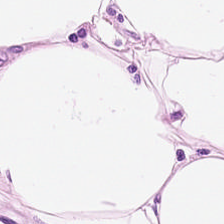H&E stain.
The tissue here is adipose.
